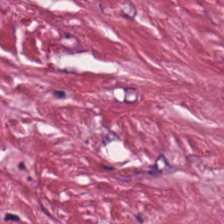Hematoxylin and eosin.
Q: Classify this patch.
A: This is tumor stroma.
